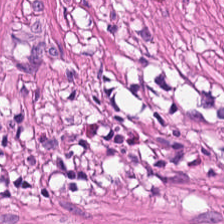H&E-stained tissue section. Classification — muscularis.
